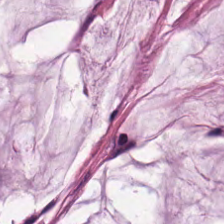224×224 px patch. H&E-stained tissue section. 20× equivalent magnification. This field is mucus.
